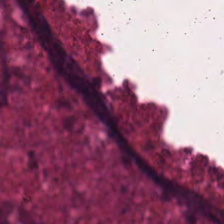{"tissue_type": "debris"}
